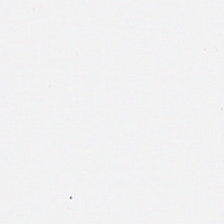H&E-stained tissue section; formalin-fixed paraffin-embedded section — Classification — no tissue.
